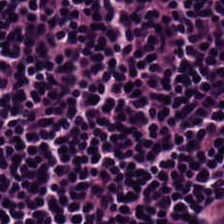Hematoxylin and eosin — Histology → lymphocyte aggregate.
